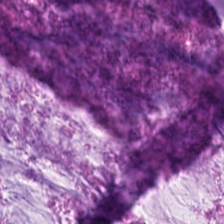H&E.
The tissue is extracellular mucin.
